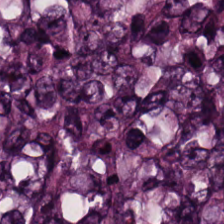H&E stain; FFPE — {"tissue_type": "colorectal adenocarcinoma"}
